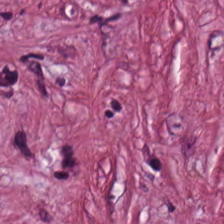{"tissue_type": "tumor-associated stroma"}
